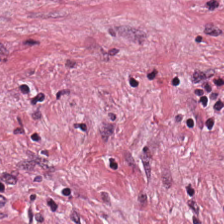H&E stain; brightfield microscopy — Showing tumor stroma.
